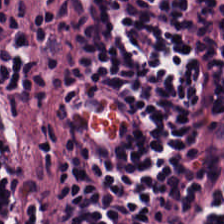Hematoxylin-and-eosin stained section. 224×224 pixel tile. Brightfield.
Histology — lymphocytes.
